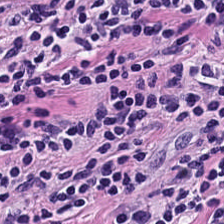Hematoxylin and eosin · FFPE — Q: What is shown in this field?
A: The field shows lymphocyte aggregate.
